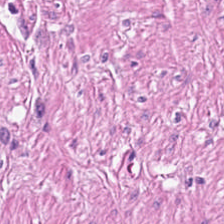Hematoxylin-and-eosin section: muscularis.
